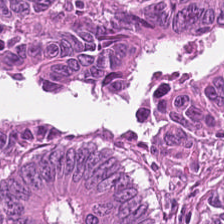Hematoxylin and eosin; 224×224 pixel tile. Q: What is shown here?
A: The field shows malignant epithelium.
